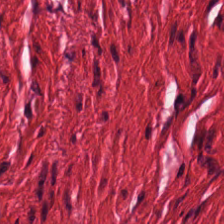Stain: H&E stain.
Tile size: 224×224 px tile.
Preparation: FFPE.
Tissue: smooth muscle.
